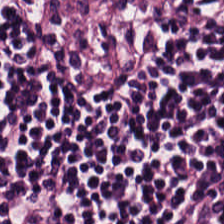H&E — Tissue type: lymphocytes.
